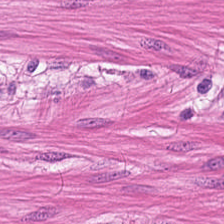Stain: H&E.
Tissue: smooth-muscle tissue.
